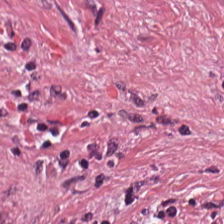Formalin-fixed paraffin-embedded section. H&E-stained tissue section.
Impression → tumor stroma.
